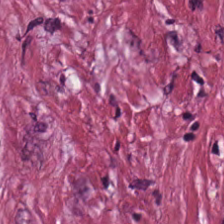H&E patch showing tumor-associated stroma.
